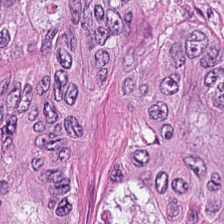Hematoxylin and eosin. Predominantly malignant epithelium.
